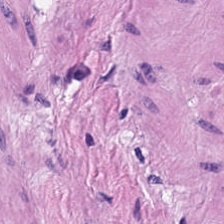The tissue class is muscularis.
